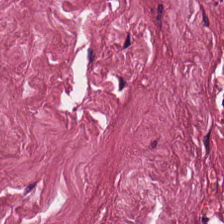Tissue — tumor-associated stroma.
